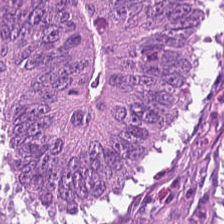Predominantly malignant epithelium.
